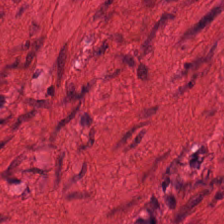Q: What is the predominant tissue type?
A: This is smooth-muscle tissue.
